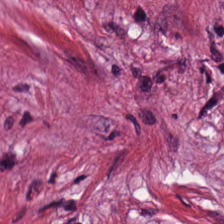Hematoxylin-and-eosin stained section — Tissue class = tumor stroma.
